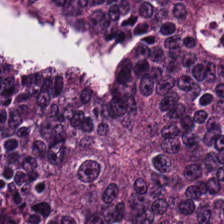The predominant tissue is colorectal adenocarcinoma epithelium.
